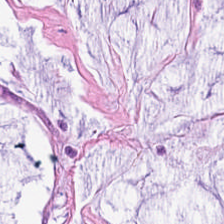Whole-slide-image patch · H&E-stained tissue section.
Finding — mucus.
